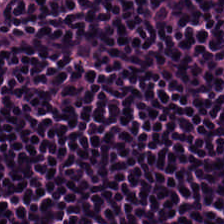H&E.
Lymphocytic infiltrate.
